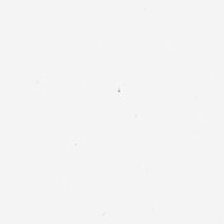Hematoxylin-and-eosin stained section — Classification = empty background.
